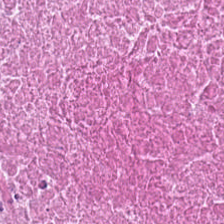224×224 pixel tile; H&E — Predominant tissue: cellular debris.
